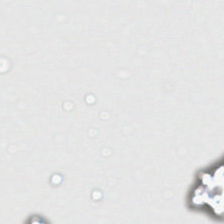224×224 px tile · H&E stain · FFPE tissue section.
Histology — empty background.
